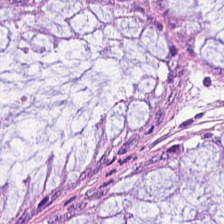Brightfield microscopy; hematoxylin-and-eosin stained section — The tissue class is normal colonic mucosa.
